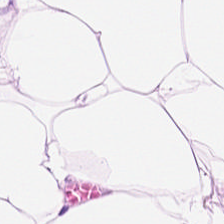Finding — adipose.
